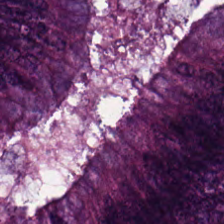Hematoxylin and eosin. Q: What type of tissue is this?
A: Tumor epithelium.
